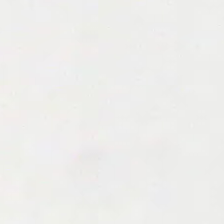224×224 px tile; hematoxylin and eosin.
The content is background.
